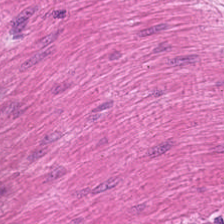Stain: H&E-stained tissue section.
Tissue type: muscularis.
